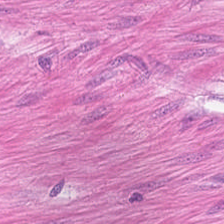Hematoxylin and eosin — The predominant tissue is muscularis.
